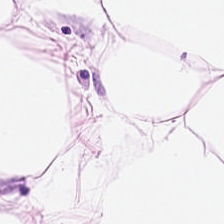Whole-slide-image patch; hematoxylin-and-eosin stained section. Showing fat tissue.
